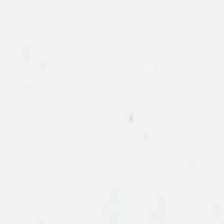Hematoxylin-and-eosin stained section; 0.5 µm/px. This field is background (no tissue).
